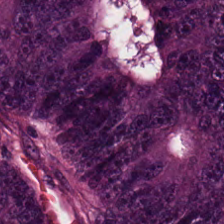Hematoxylin and eosin · 224×224 pixel tile · FFPE — Predominantly colorectal adenocarcinoma epithelium.
